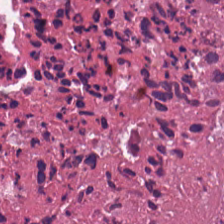H&E-stained tissue section; 0.5 microns per pixel.
The tissue here is cellular debris.
